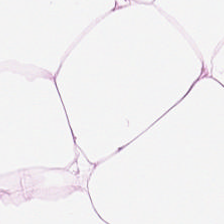Hematoxylin-and-eosin stained section — Histology → adipose.
